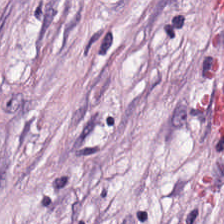Hematoxylin-and-eosin stained section; 224×224 px patch.
{"tissue_type": "desmoplastic stroma"}
